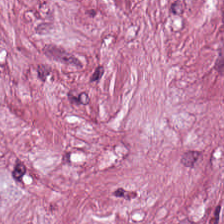Brightfield microscopy · 224×224 px patch · H&E stain — This patch shows cancer-associated stroma.
